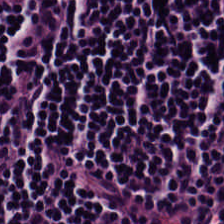Hematoxylin and eosin. This patch shows lymphocyte aggregate.
